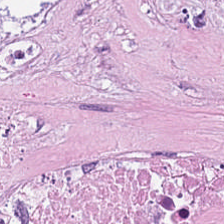Stain: H&E stain.
Classification: cellular debris.
